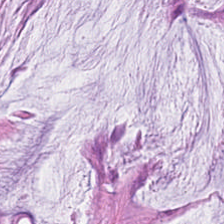Q: What tissue type is shown here?
A: It is mucin.
